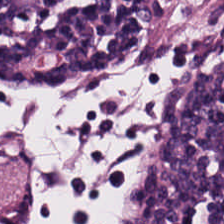H&E. Tissue = lymphocytic infiltrate.
